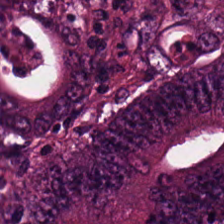Hematoxylin-and-eosin stained section · formalin-fixed paraffin-embedded section — Q: Identify the tissue.
A: Colorectal adenocarcinoma.
